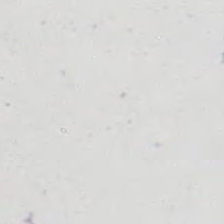Hematoxylin and eosin. Empty background.
